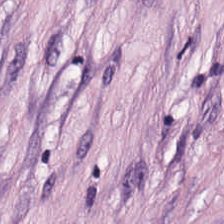Stain: hematoxylin-and-eosin stained section.
Predominant tissue: cancer-associated stroma.
